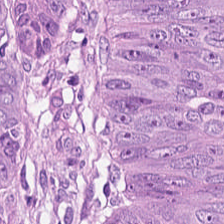H&E stain.
Q: What does this patch show?
A: It is tumor epithelium.
